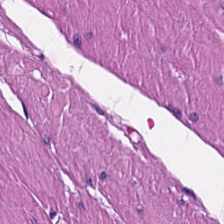Hematoxylin and eosin. Predominant tissue: muscularis.
